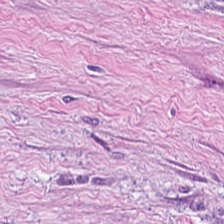H&E — cancer-associated stroma.
